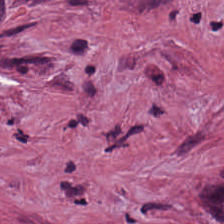Hematoxylin and eosin · formalin-fixed paraffin-embedded section.
Q: Identify the tissue.
A: The field shows cancer-associated stroma.
